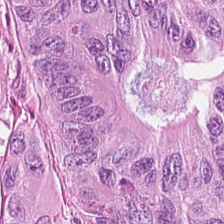The predominant tissue is adenocarcinoma.
